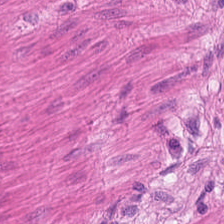20× equivalent magnification; hematoxylin and eosin.
Finding — smooth muscle.
